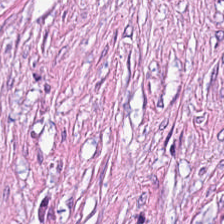Finding → tumor-associated stroma.
